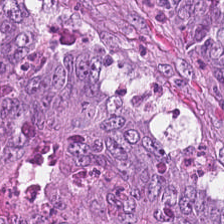Tissue type — tumor epithelium.
